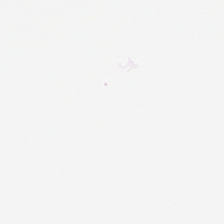This field is background (no tissue).
